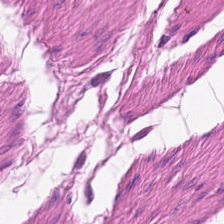Predominant tissue = muscularis.
